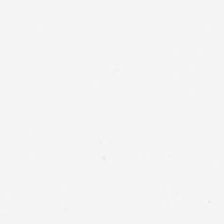WSI patch. H&E-stained tissue section. Field content = empty background.
